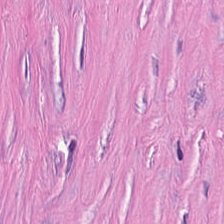The tissue type is desmoplastic stroma.
